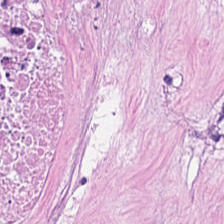Hematoxylin and eosin — Showing cellular debris.
